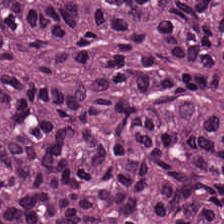Stain: hematoxylin and eosin.
Resolution: 20× equivalent magnification.
Tissue type: tumor epithelium.
